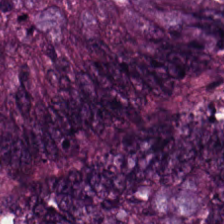Classification: adenocarcinoma.
